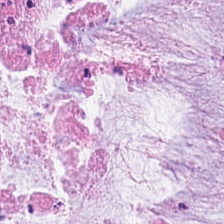The predominant tissue is mucus.
